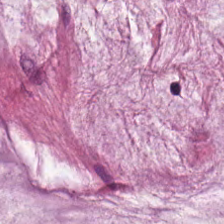H&E — mucin.
